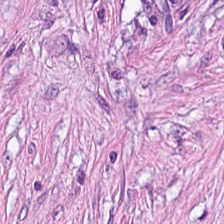Hematoxylin-and-eosin stained section. 224×224 px patch — Showing desmoplastic stroma.
